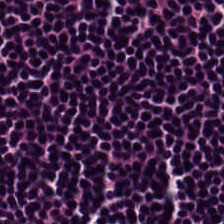Stain: hematoxylin-and-eosin stained section.
Classification: lymphocyte aggregate.
